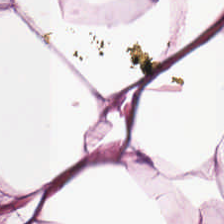The tissue here is adipocytes.
